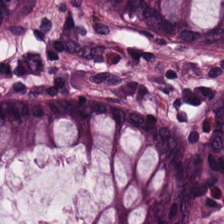Stain: H&E stain.
Tile size: 224×224 pixel tile.
Predominant tissue: normal colon mucosa.
